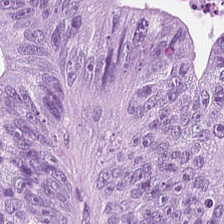Brightfield microscopy. 224×224 px patch. H&E stain — The tissue class is malignant epithelium.
